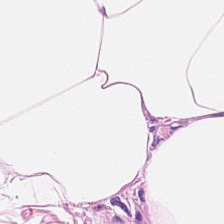H&E stain.
Q: Classify this patch.
A: The field shows adipocytes.
